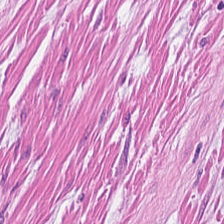Hematoxylin-and-eosin stained section — Predominantly smooth muscle.
